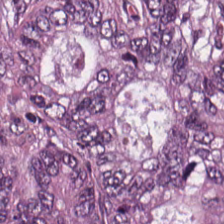Hematoxylin and eosin. This patch shows adenocarcinoma.
